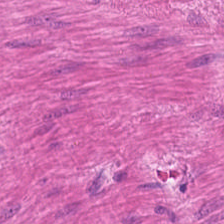224×224 pixel tile. WSI patch. H&E.
Predominantly muscularis.
